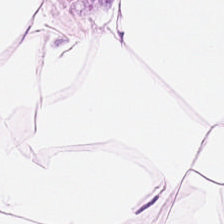H&E stain. Showing fat tissue.
